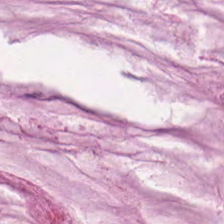Hematoxylin-and-eosin stained section.
Showing mucus.
